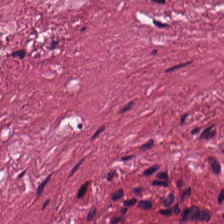224×224 px tile. H&E. Cancer-associated stroma.
